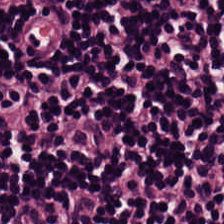Q: What does this patch show?
A: It is lymphocyte aggregate.
